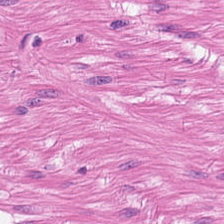Hematoxylin and eosin.
Tissue — smooth muscle.
